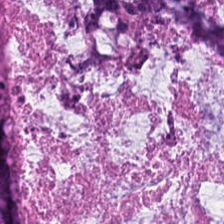H&E — mucin.
